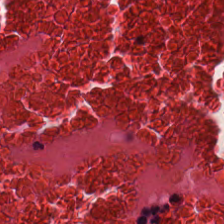Hematoxylin and eosin.
Q: What is the predominant tissue type?
A: Debris.
